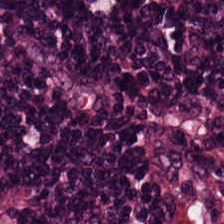Stain: hematoxylin-and-eosin stained section.
Tissue class: lymphocytic infiltrate.
